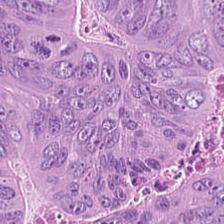H&E stain; 0.5 microns per pixel. Colorectal adenocarcinoma.
